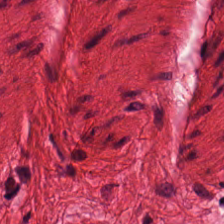Hematoxylin and eosin — Q: What is shown in this field?
A: This is smooth muscle.
